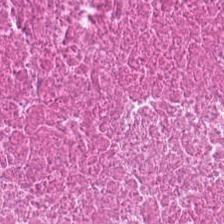H&E stain.
The tissue type is necrotic debris.
